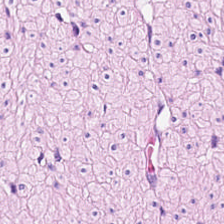Q: What is shown in this field?
A: This is muscularis.
